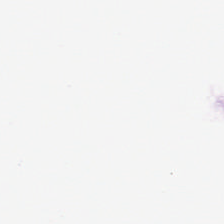20× equivalent magnification; whole-slide-image patch; hematoxylin-and-eosin stained section — No tissue.
